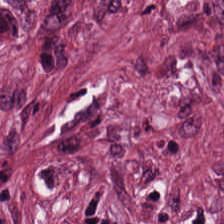WSI patch · hematoxylin and eosin — The tissue here is desmoplastic stroma.
